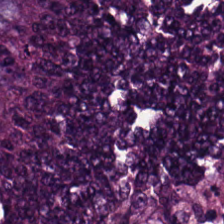Hematoxylin-and-eosin stained section — Finding — adenocarcinoma.
